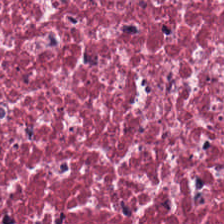H&E-stained tissue section — The tissue here is desmoplastic stroma.
